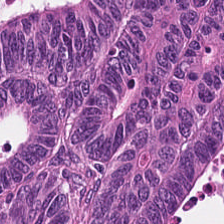H&E; 224×224 pixel tile.
Tissue class: colorectal adenocarcinoma.
